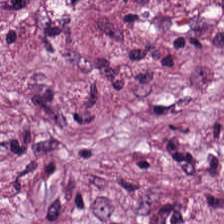Tissue: desmoplastic stroma.
